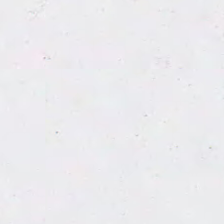Brightfield · hematoxylin-and-eosin stained section — No tissue present; background only.
